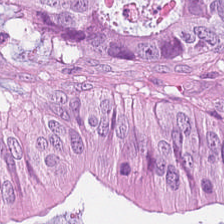20× equivalent magnification · FFPE tissue section · hematoxylin and eosin — Finding — tumor epithelium.
